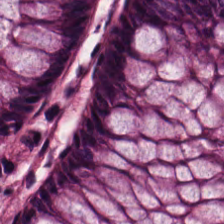H&E stain.
This patch shows normal colon mucosa.
